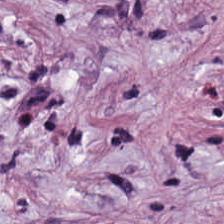Stain: hematoxylin-and-eosin stained section.
Tile size: 224×224 pixel tile.
Tissue class: desmoplastic stroma.
